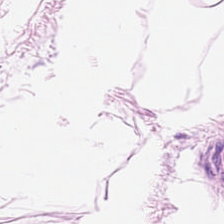H&E.
Histology → adipose tissue.
